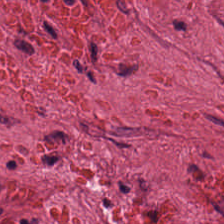H&E · 0.5 µm/px · FFPE.
Histology — tumor-associated stroma.
